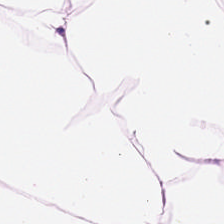Hematoxylin-and-eosin stained section.
Showing fat tissue.
